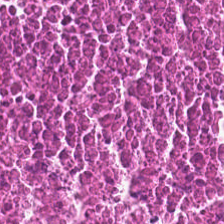Hematoxylin-and-eosin stained section · WSI patch · 224×224 pixel tile.
This field is necrotic debris.
